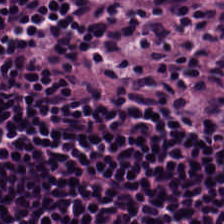Whole-slide-image patch. 20× equivalent magnification. H&E-stained tissue section. The predominant tissue is lymphocytic infiltrate.
